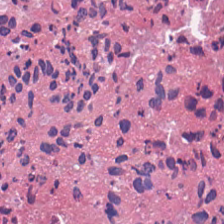Hematoxylin and eosin. Predominant tissue = necrotic debris.
